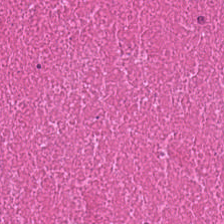FFPE; H&E — {"tissue_type": "necrotic debris"}
